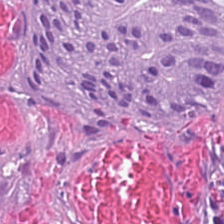H&E-stained tissue section.
Classification = malignant epithelium.
